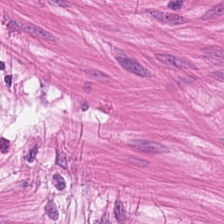Brightfield; H&E-stained tissue section; 224×224 pixel tile. Histology — smooth muscle.
